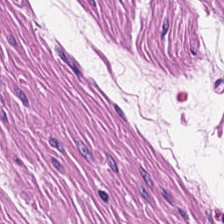H&E stain. Tissue: smooth-muscle tissue.
